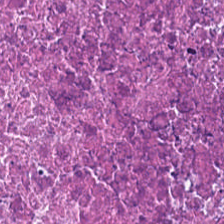H&E.
Tissue — cellular debris.
